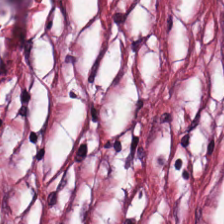Brightfield; hematoxylin-and-eosin stained section. Q: What does this patch show?
A: Cancer-associated stroma.
